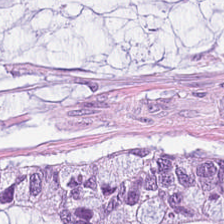0.5 µm/px · brightfield · H&E stain.
Showing mucus.
